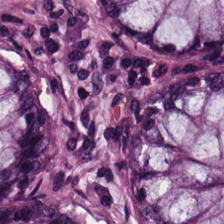H&E.
{"tissue_type": "benign colonic mucosa"}
